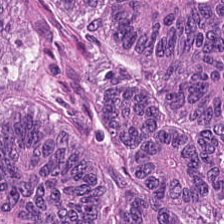Predominant tissue — colorectal adenocarcinoma.
